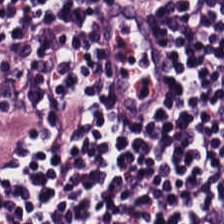Histology → lymphocytes.
